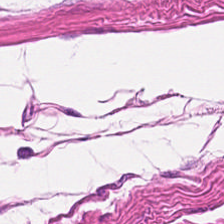H&E stain — Q: What tissue type is shown here?
A: The field shows smooth-muscle tissue.
